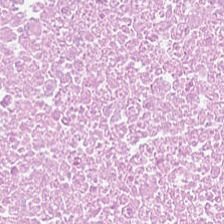Q: Classify this patch.
A: It is cellular debris.
